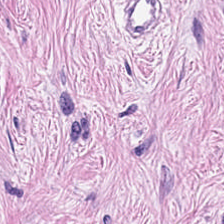Hematoxylin and eosin; 0.5 microns per pixel; 224×224 px patch.
Q: What is shown here?
A: Desmoplastic stroma.
